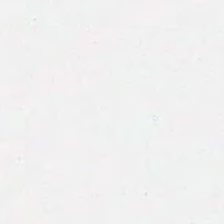H&E-stained tissue section · brightfield · 224×224 px tile. {"content": "empty background"}
